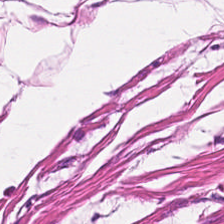Hematoxylin-and-eosin stained section.
The predominant tissue is muscularis.
